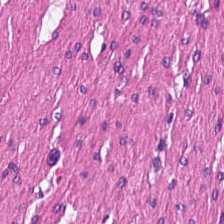H&E-stained tissue section.
Tissue type = smooth-muscle tissue.
